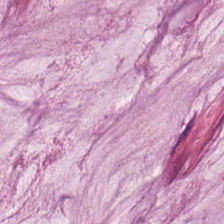H&E. {"tissue_type": "mucin"}
